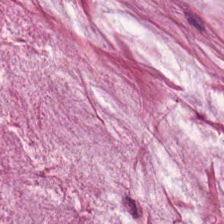Stain: hematoxylin and eosin.
Tissue class: mucus.
